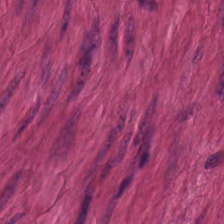H&E stain.
Showing smooth-muscle tissue.
